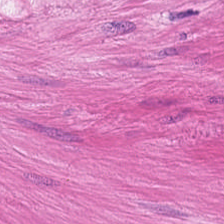Finding → smooth-muscle tissue.
